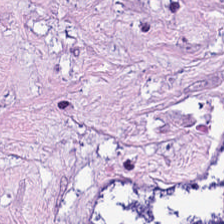H&E-stained tissue section — The tissue here is tumor stroma.
